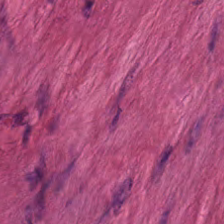Stain: H&E-stained tissue section.
Acquisition: WSI patch.
Tile size: 224×224 pixel tile.
Tissue: muscularis.
